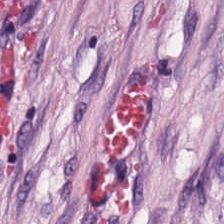H&E-stained tissue section showing desmoplastic stroma.
